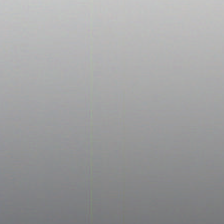Brightfield. Hematoxylin and eosin — The classification is background (no tissue).
